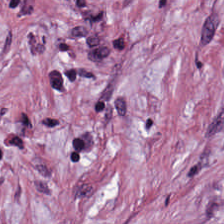Brightfield; H&E stain. Tissue class = desmoplastic stroma.
